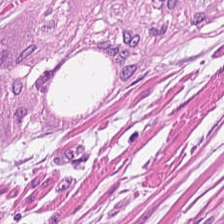224×224 pixel tile; hematoxylin and eosin. Predominantly smooth muscle.
